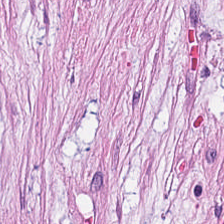Hematoxylin and eosin. Tissue type — desmoplastic stroma.
